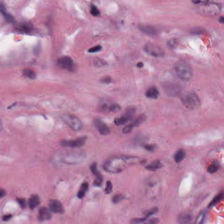Brightfield microscopy. H&E stain. 20× equivalent magnification.
The classification is desmoplastic stroma.
